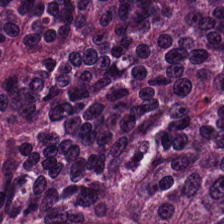H&E stain.
Q: What does this patch show?
A: Tumor epithelium.
